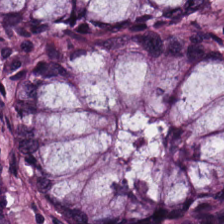Tissue type: non-neoplastic colon mucosa.
